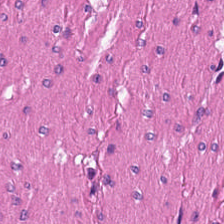H&E-stained tissue section.
{"tissue_type": "smooth muscle"}
